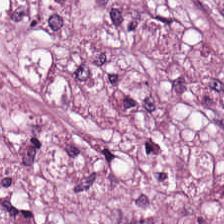H&E stain · 224×224 pixel tile · WSI patch.
Classification = cancer-associated stroma.
